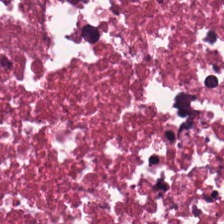Hematoxylin-and-eosin stained section.
Histology — necrotic debris.
